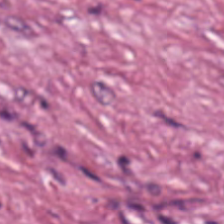H&E stain — The predominant tissue is tumor stroma.
